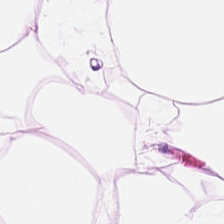H&E stain. Showing adipose tissue.
